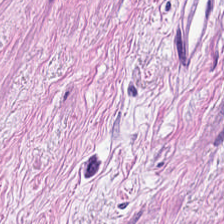Stain: hematoxylin-and-eosin stained section.
Tissue class: smooth muscle.
